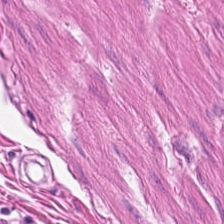20× equivalent magnification. WSI patch. Hematoxylin and eosin — Smooth-muscle tissue.
